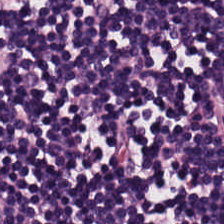FFPE; hematoxylin-and-eosin stained section. {"tissue_type": "lymphoid infiltrate"}
